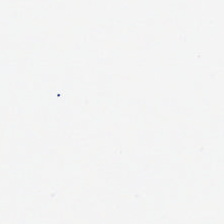H&E stain. Q: Classify this patch.
A: Empty background.
